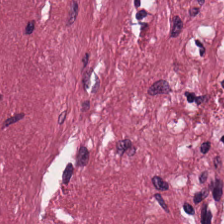WSI patch · H&E. Tissue class: tumor stroma.
